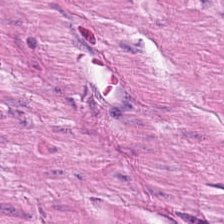0.5 µm/px; H&E stain — The tissue class is smooth-muscle tissue.
